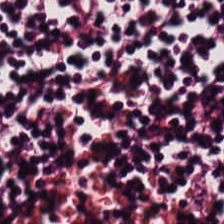H&E. This field is lymphoid infiltrate.
